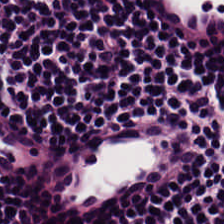Hematoxylin and eosin. 0.5 µm per pixel. Whole-slide-image patch — Tissue: lymphocyte aggregate.
